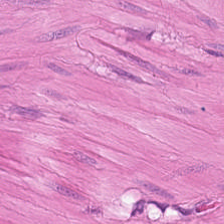Hematoxylin and eosin — {"tissue_type": "muscularis"}
